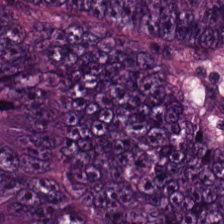Classification = colorectal adenocarcinoma epithelium.
